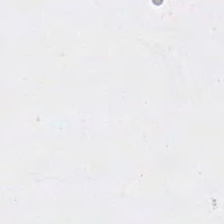This patch shows empty background.
